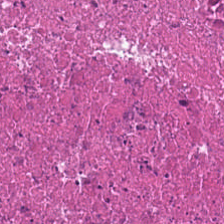Tissue type = cellular debris.
